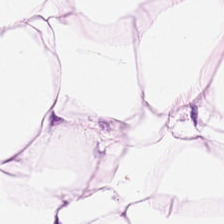Whole-slide-image patch; hematoxylin and eosin; 0.5 µm per pixel. Tissue type: adipose tissue.
